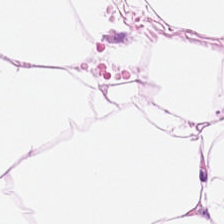Hematoxylin and eosin.
Q: What is shown in this field?
A: The field shows fat tissue.
